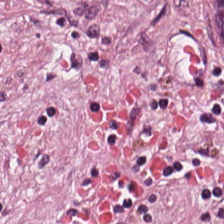FFPE. H&E stain.
Classification: cancer-associated stroma.
